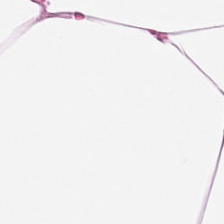Stain: hematoxylin and eosin.
Predominant tissue: adipocytes.
